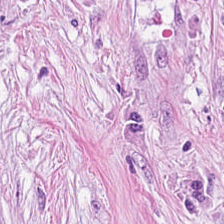Stain: hematoxylin and eosin.
Acquisition: brightfield.
Tissue class: desmoplastic stroma.
